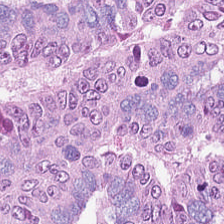H&E-stained tissue section.
Predominantly colorectal adenocarcinoma.
